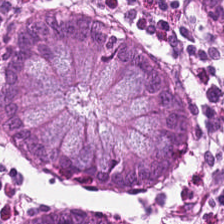H&E stain. The predominant tissue is benign colonic mucosa.
